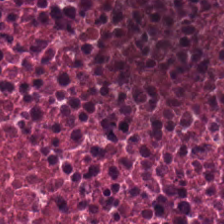H&E stain — Showing debris.
